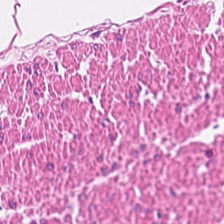Whole-slide-image patch · FFPE tissue section · H&E-stained tissue section. This field is muscularis.
